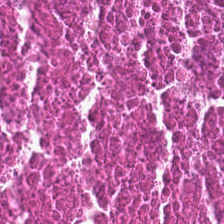Showing cellular debris.
